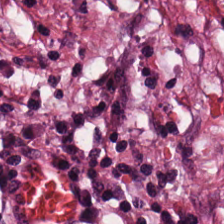Hematoxylin-and-eosin stained section · whole-slide-image patch · formalin-fixed paraffin-embedded section — Q: What is shown in this field?
A: It is cancer-associated stroma.
